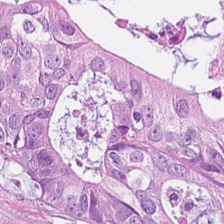H&E stain. 0.5 µm/px. 224×224 pixel tile.
Q: What is the predominant tissue type?
A: It is adenocarcinoma.
